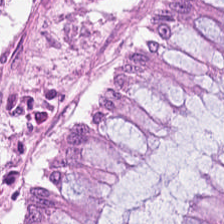0.5 microns per pixel · H&E stain · whole-slide-image patch — {"tissue_type": "normal colon mucosa"}
